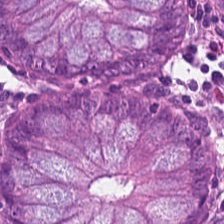Hematoxylin-and-eosin section: non-neoplastic colon mucosa.
